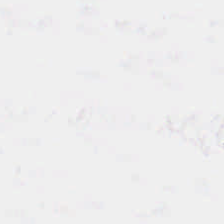H&E stain; 224×224 px tile; brightfield. Classification = background (no tissue).
